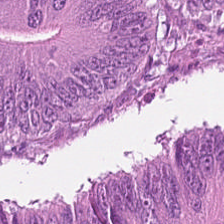Q: What type of tissue is this?
A: This is malignant epithelium.
